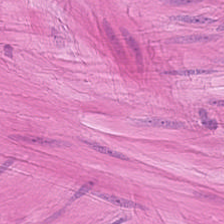H&E-stained section; the field shows smooth muscle.
